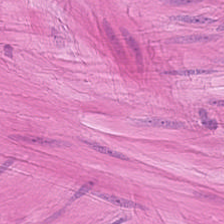H&E-stained section; the field shows smooth muscle.
